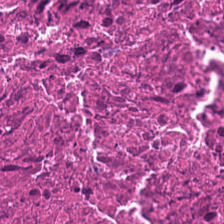20× equivalent magnification · hematoxylin-and-eosin stained section — Predominant tissue: necrotic debris.
